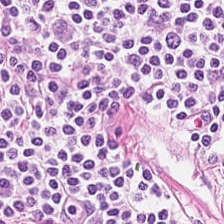H&E.
Q: What tissue is shown?
A: The field shows lymphocytes.
